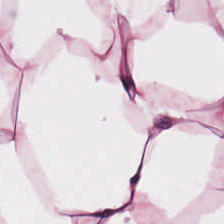Impression — adipose.
